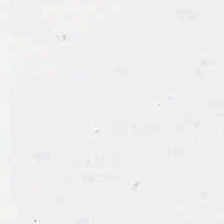Hematoxylin and eosin.
Histology → background (no tissue).
